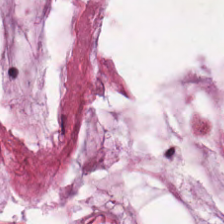Formalin-fixed paraffin-embedded section. H&E stain — Impression → mucus.
